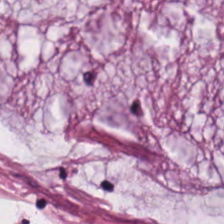Brightfield microscopy. Hematoxylin and eosin. 224×224 px tile.
Q: What tissue type is shown here?
A: This is mucus.
